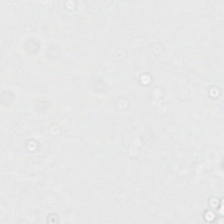224×224 px tile; H&E stain — Background (no tissue).
